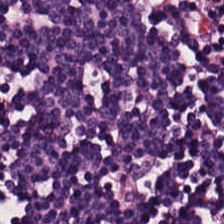0.5 microns per pixel. H&E stain.
Tissue class — lymphocyte aggregate.
